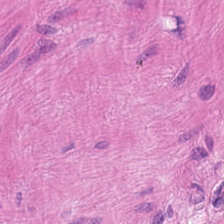H&E.
Predominantly smooth-muscle tissue.
